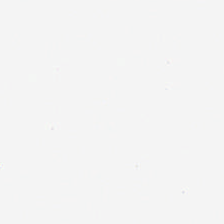224×224 pixel tile. H&E. 0.5 microns per pixel — Q: What is shown here?
A: It is empty background.
